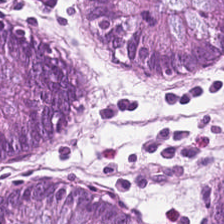Hematoxylin-and-eosin stained section · whole-slide-image patch — Classification: benign colonic mucosa.
